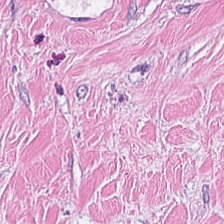Stain: H&E.
Classification: tumor-associated stroma.
